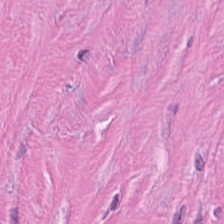H&E stain. Brightfield microscopy — Tissue: tumor-associated stroma.
